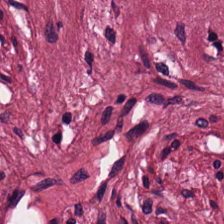H&E-stained tissue section.
This field is tumor stroma.
